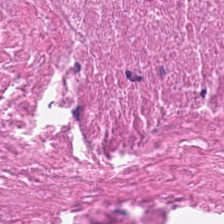Hematoxylin-and-eosin stained section. The predominant tissue is debris.
